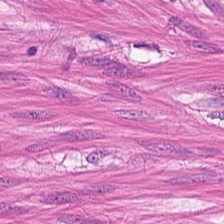H&E-stained tissue section.
Q: What does this patch show?
A: This is smooth-muscle tissue.
